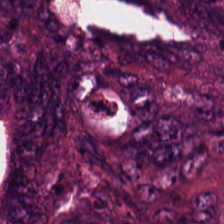FFPE tissue section. H&E stain.
Finding — tumor epithelium.
